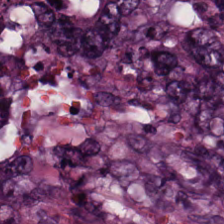Hematoxylin and eosin; 0.5 µm per pixel. Predominant tissue — adenocarcinoma.
